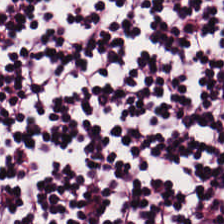H&E-stained tissue section. The tissue here is lymphoid infiltrate.
